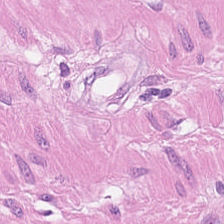Brightfield; 224×224 px patch; H&E-stained tissue section.
The tissue class is smooth muscle.
